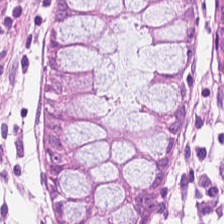H&E stain — The predominant tissue is benign colonic mucosa.
